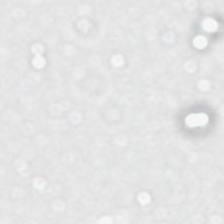Stain: hematoxylin and eosin.
Resolution: 0.5 microns per pixel.
Acquisition: brightfield.
Field content: empty background.
